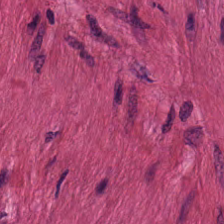FFPE; hematoxylin-and-eosin stained section. Classification = smooth muscle.
